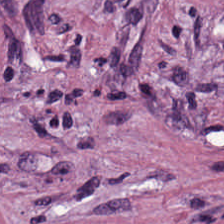Predominant tissue: desmoplastic stroma.
